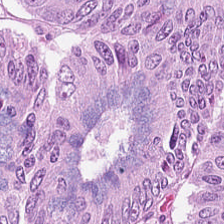Hematoxylin-and-eosin stained section · brightfield. Showing colorectal adenocarcinoma.
